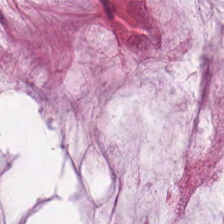Q: Identify the tissue.
A: Mucus.
